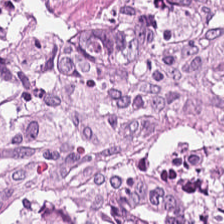224×224 pixel tile. Hematoxylin and eosin.
Showing tumor stroma.
